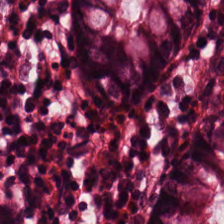0.5 µm per pixel · hematoxylin-and-eosin stained section · 224×224 pixel tile — Q: What tissue is shown?
A: It is normal colon mucosa.
